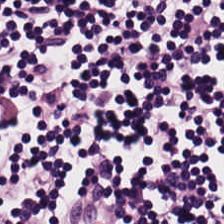H&E stain. Predominantly lymphocytic infiltrate.
